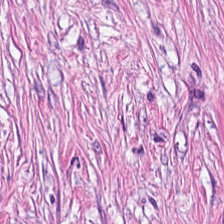Stain: hematoxylin and eosin.
Tissue class: tumor stroma.
